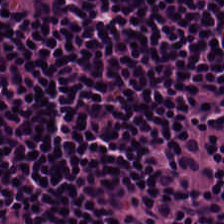FFPE tissue section · hematoxylin and eosin — The tissue here is lymphocyte aggregate.
